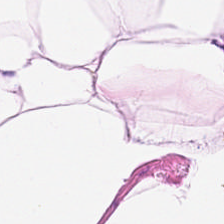H&E patch showing fat tissue.
